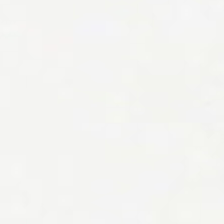H&E-stained tissue section — This patch shows background (no tissue).
